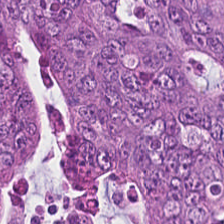H&E-stained tissue section — Tissue — malignant epithelium.
